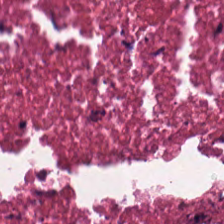Impression → necrotic debris.
